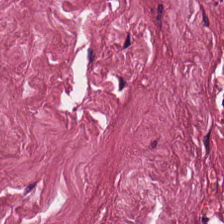Q: Identify the tissue.
A: Cancer-associated stroma.
